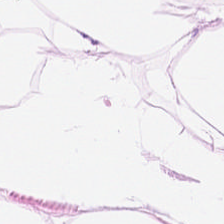H&E stain — Showing fat tissue.
